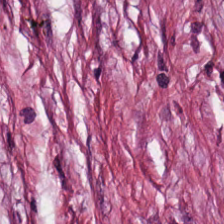This patch shows cancer-associated stroma.
